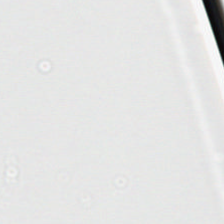20× equivalent magnification. Hematoxylin and eosin.
This field is background (no tissue).
